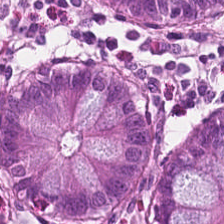H&E-stained section; the field shows benign colonic mucosa.
